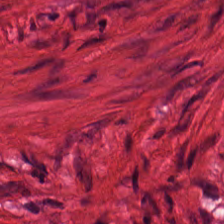224×224 px tile; H&E stain.
The tissue here is smooth muscle.
